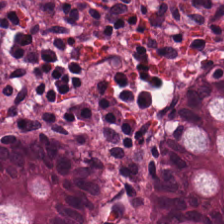FFPE tissue section; WSI patch; H&E stain. Tissue: benign colonic mucosa.
